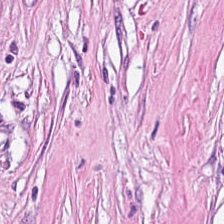WSI patch. Hematoxylin-and-eosin stained section. 224×224 pixel tile.
Predominant tissue: cancer-associated stroma.
